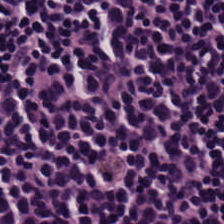Hematoxylin and eosin — Q: What type of tissue is this?
A: Lymphoid infiltrate.
